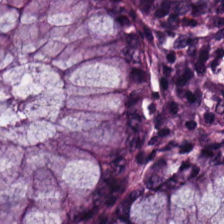The predominant tissue is non-neoplastic colon mucosa.
